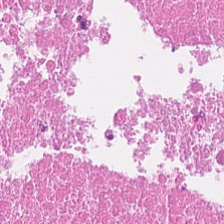H&E-stained tissue section showing cellular debris.
